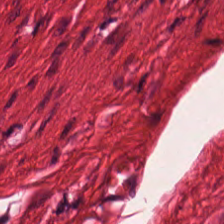Hematoxylin-and-eosin stained section. Whole-slide-image patch.
Predominantly smooth-muscle tissue.
